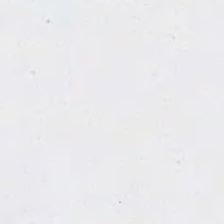{"content": "background"}
